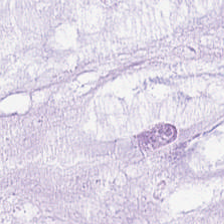Hematoxylin and eosin; 0.5 µm/px. Predominantly mucin.
